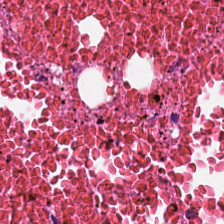Hematoxylin and eosin. The predominant tissue is debris.
